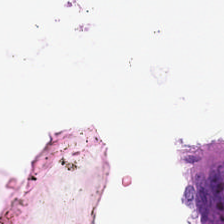Classification — no tissue.
